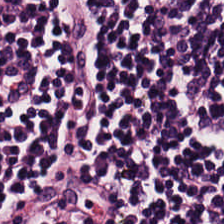FFPE. Hematoxylin-and-eosin stained section. 224×224 pixel tile — Tissue type = lymphoid infiltrate.
